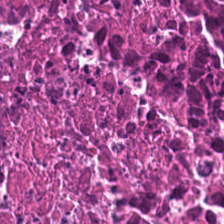Finding → cellular debris.
